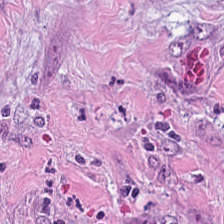H&E · 20× equivalent magnification.
Q: What tissue type is shown here?
A: Desmoplastic stroma.
